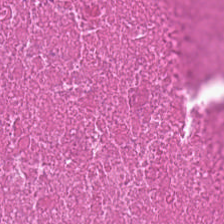H&E-stained tissue section — Finding — debris.
